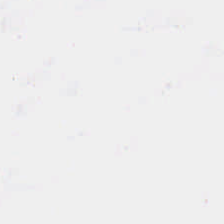H&E-stained tissue section. Content: no tissue.
